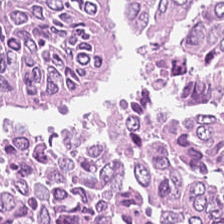Hematoxylin-and-eosin stained section.
Q: What type of tissue is this?
A: The field shows malignant epithelium.
